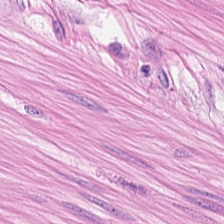Stain: H&E.
Acquisition: WSI patch.
Preparation: formalin-fixed paraffin-embedded section.
Tissue class: smooth-muscle tissue.
